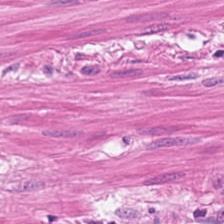H&E-stained tissue section · FFPE.
This field is muscularis.
